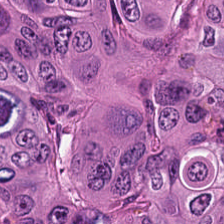Hematoxylin-and-eosin stained section. Brightfield microscopy. The tissue here is tumor epithelium.
